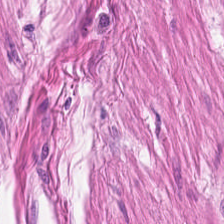Formalin-fixed paraffin-embedded section · hematoxylin-and-eosin stained section — {"tissue_type": "smooth-muscle tissue"}
